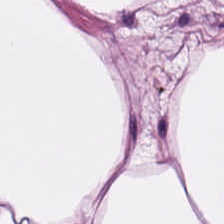Formalin-fixed paraffin-embedded section · H&E stain.
This field is adipocytes.
